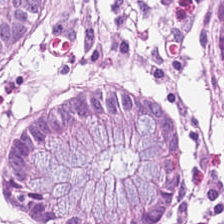Stain: H&E-stained tissue section.
Resolution: 20× equivalent magnification.
Acquisition: brightfield.
Tissue class: normal colonic mucosa.
